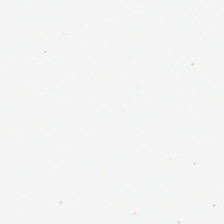H&E. Finding — empty background.
